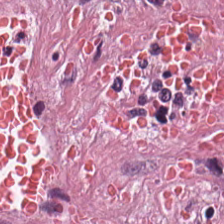H&E-stained tissue section — Histology → cancer-associated stroma.
